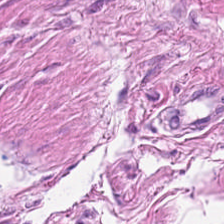Showing smooth muscle.
